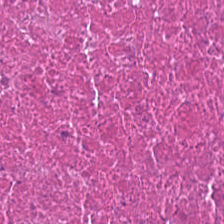Hematoxylin and eosin.
Tissue class — cellular debris.
